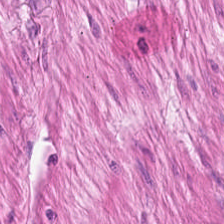224×224 px tile. Hematoxylin-and-eosin stained section — Q: What is shown here?
A: Muscularis.
